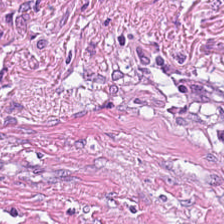Stain: hematoxylin-and-eosin stained section.
Tissue class: tumor stroma.
